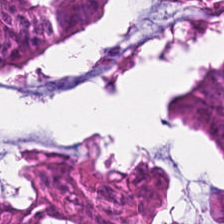Hematoxylin and eosin — This field is colorectal adenocarcinoma.
